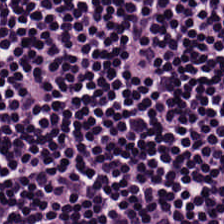Stain: hematoxylin and eosin.
Resolution: 20× equivalent magnification.
Predominant tissue: lymphocytic infiltrate.
